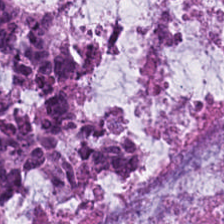{"tissue_type": "mucus"}
